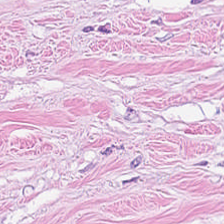Hematoxylin-and-eosin section: cancer-associated stroma.
